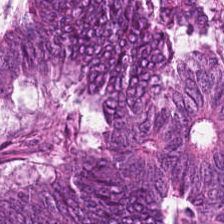Hematoxylin and eosin — Tissue type: colorectal adenocarcinoma epithelium.
